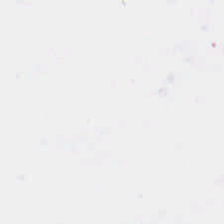Hematoxylin-and-eosin stained section. Whole-slide-image patch — Finding → background (no tissue).
